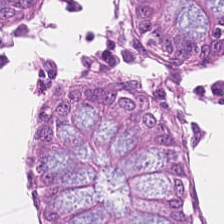WSI patch. 0.5 µm/px. Hematoxylin and eosin.
Predominant tissue = non-neoplastic colon mucosa.
